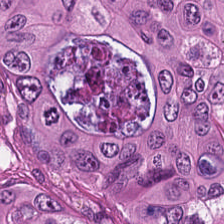H&E-stained tissue section · brightfield microscopy · 224×224 px patch. Predominantly adenocarcinoma.
